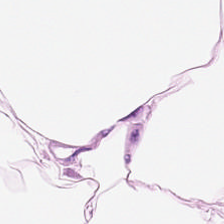Predominant tissue: adipose tissue.
